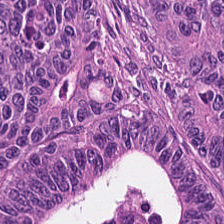Hematoxylin and eosin — Tumor epithelium.
